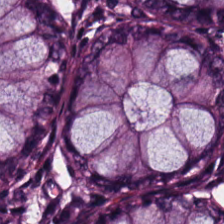H&E-stained tissue section; brightfield microscopy.
Tissue = benign colonic mucosa.
